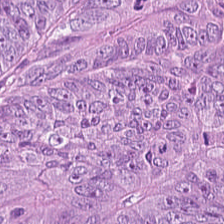Hematoxylin and eosin.
Predominantly adenocarcinoma.
